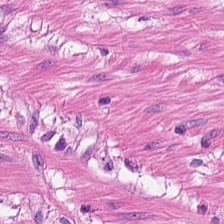H&E-stained tissue section.
The classification is muscularis.
